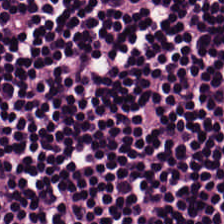Hematoxylin-and-eosin stained section.
Showing lymphocyte aggregate.
